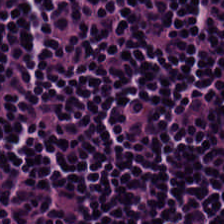H&E.
Finding → lymphoid infiltrate.
